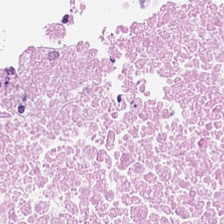H&E-stained tissue section. Impression — cellular debris.
